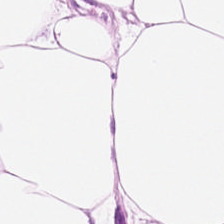H&E — adipose.
